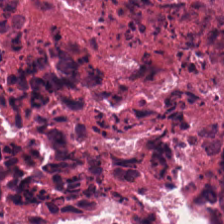Tissue class = debris.
